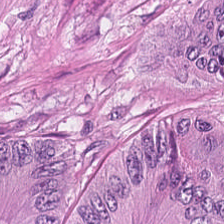H&E stain — Finding → adenocarcinoma.
